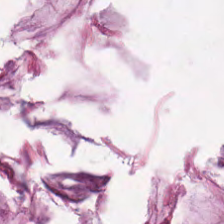0.5 microns per pixel. H&E. Q: What type of tissue is this?
A: This is mucin.
